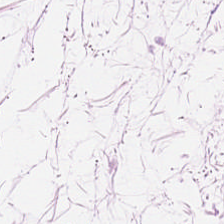Whole-slide-image patch. H&E-stained tissue section. 224×224 px patch. Finding — adipose.
